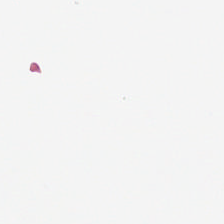Impression — background.
